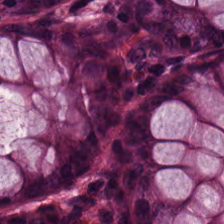H&E-stained tissue section; 20× equivalent magnification. The tissue here is normal colon mucosa.
